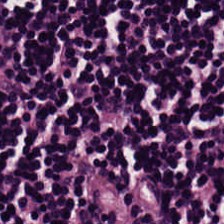20× equivalent magnification · 224×224 px patch · H&E. The classification is lymphocytic infiltrate.
